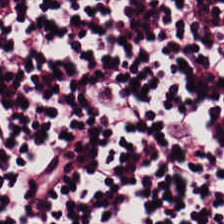Predominant tissue: lymphoid infiltrate.
